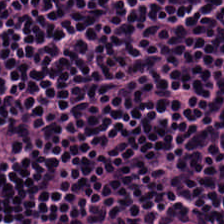Q: What tissue is shown?
A: The field shows lymphoid infiltrate.
